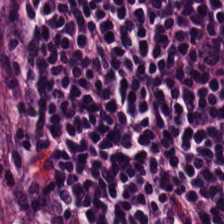Tissue type — lymphocytes.
